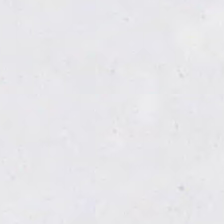WSI patch; hematoxylin and eosin.
Histology → empty background.
